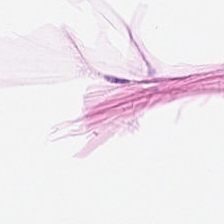WSI patch; 0.5 microns per pixel; hematoxylin-and-eosin stained section.
Fat tissue.
